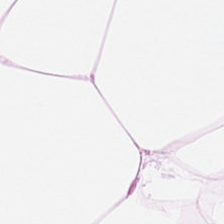H&E. 0.5 µm/px. Whole-slide-image patch — Adipocytes.
